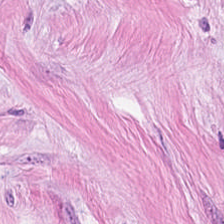H&E.
Histology — tumor stroma.
